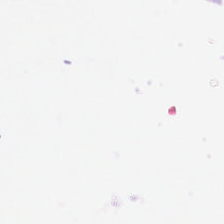Hematoxylin and eosin; 20× equivalent magnification — Content = background (no tissue).
